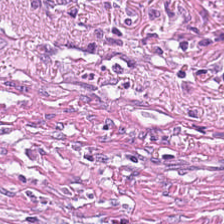0.5 microns per pixel · FFPE tissue section · H&E-stained tissue section. Q: What is the predominant tissue type?
A: This is desmoplastic stroma.
